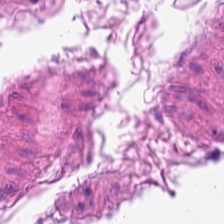Histology → muscularis.
